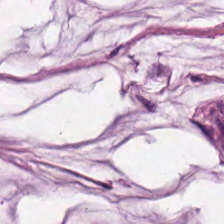H&E-stained tissue section — Tissue class = mucin.
